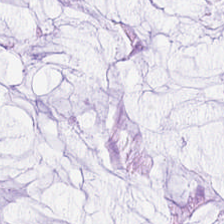Hematoxylin-and-eosin stained section; 224×224 px tile.
Tissue type = extracellular mucin.
